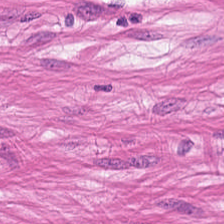Q: What type of tissue is this?
A: It is muscularis.
